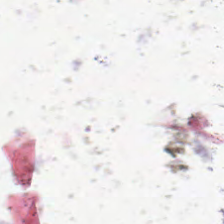Stain: H&E stain.
Resolution: 0.5 µm per pixel.
Field content: no tissue.
